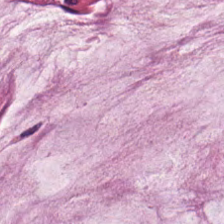H&E.
Tissue type: mucus.
